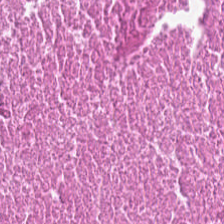0.5 µm/px. Hematoxylin and eosin. Classification = necrotic debris.
